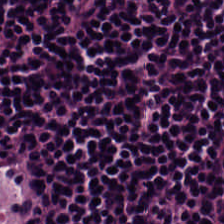Q: What type of tissue is this?
A: The field shows lymphocytic infiltrate.
